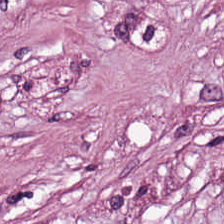The predominant tissue is cancer-associated stroma.
